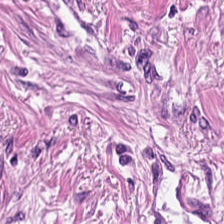H&E stain; 224×224 px tile.
Q: Classify this patch.
A: The field shows tumor stroma.
